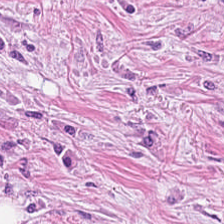Whole-slide-image patch · H&E-stained tissue section · 20× equivalent magnification — This patch shows tumor stroma.
